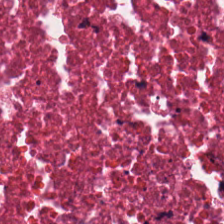Hematoxylin and eosin.
Finding → debris.
